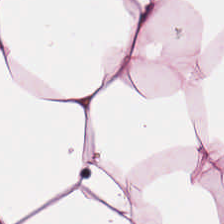H&E stain; FFPE. Predominant tissue: adipose tissue.
